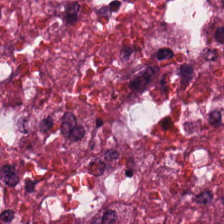20× equivalent magnification; hematoxylin-and-eosin stained section. This patch shows necrotic debris.
